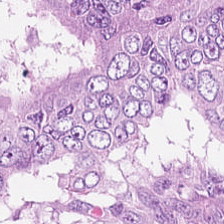FFPE. H&E stain — Predominant tissue: colorectal adenocarcinoma.
